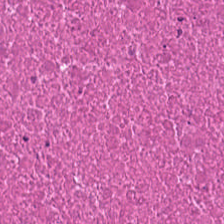20× equivalent magnification. H&E-stained tissue section. 224×224 pixel tile.
Histology → necrotic debris.
